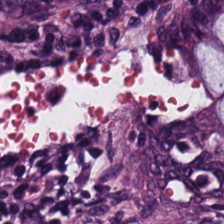Hematoxylin-and-eosin stained section. FFPE tissue section. Brightfield microscopy.
This patch shows benign colonic mucosa.
